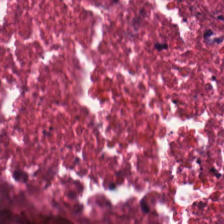Stain: hematoxylin and eosin.
Resolution: 0.5 µm per pixel.
Tile size: 224×224 px patch.
Predominant tissue: cellular debris.
